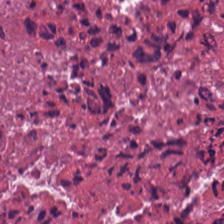Hematoxylin-and-eosin stained section — Showing cellular debris.
